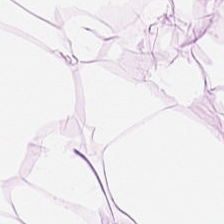Hematoxylin and eosin. 0.5 µm per pixel. This patch shows adipocytes.
